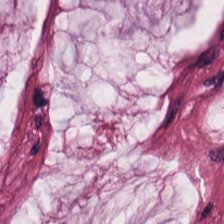Hematoxylin and eosin; 224×224 pixel tile; formalin-fixed paraffin-embedded section.
Showing extracellular mucin.
